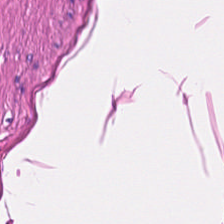H&E stain. Formalin-fixed paraffin-embedded section — Classification: smooth-muscle tissue.
